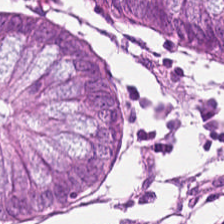Q: What does this patch show?
A: The field shows normal colon mucosa.
